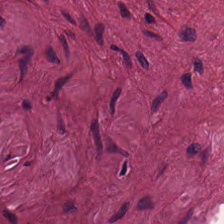H&E-stained tissue section showing tumor stroma.
